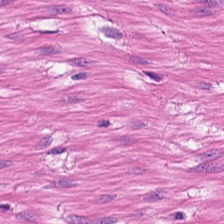Tissue: muscularis.
